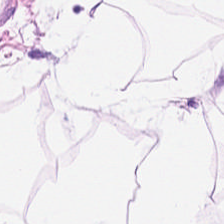Classification: adipose tissue.
